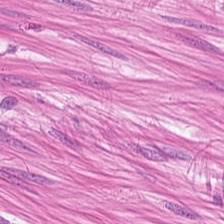Stain: hematoxylin and eosin.
Tissue class: smooth-muscle tissue.
